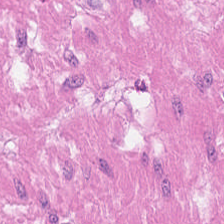Tissue = smooth muscle.
